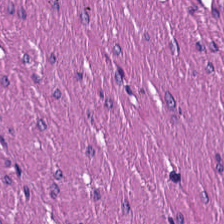Stain: H&E stain.
Tissue: muscularis.
